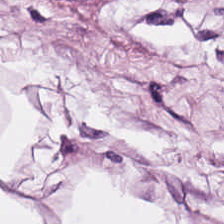H&E; 0.5 µm/px. This field is adipose tissue.
